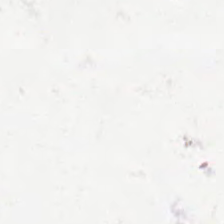The classification is empty background.
